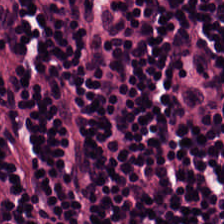Stain: hematoxylin-and-eosin stained section.
Acquisition: WSI patch.
Preparation: FFPE.
Tissue type: lymphocytes.
